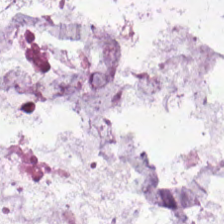Hematoxylin-and-eosin stained section. Tissue type: mucin.
